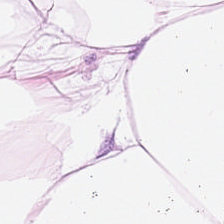Predominant tissue = adipose.
